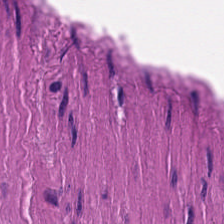0.5 microns per pixel · hematoxylin and eosin.
This field is smooth-muscle tissue.
